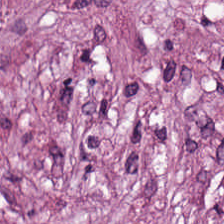Hematoxylin-and-eosin stained section; brightfield — Showing tumor stroma.
